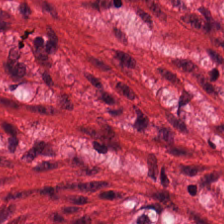Hematoxylin-and-eosin stained section — This patch shows smooth-muscle tissue.
